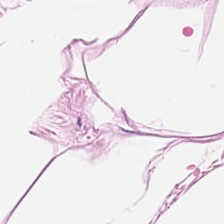Q: Identify the tissue.
A: It is adipose tissue.
